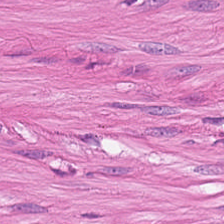FFPE tissue section; 0.5 microns per pixel; H&E.
This field is smooth-muscle tissue.
